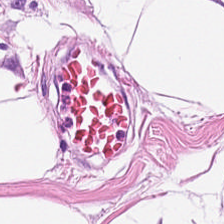H&E stain — Tissue class — adipose tissue.
